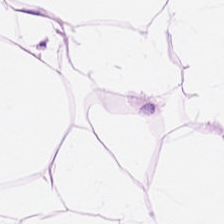Predominant tissue — adipose tissue.
